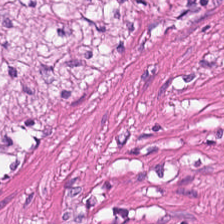H&E stain — Showing muscularis.
